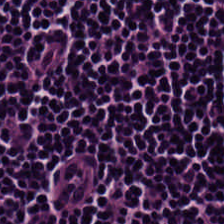H&E. 0.5 microns per pixel. Finding → lymphocytes.
